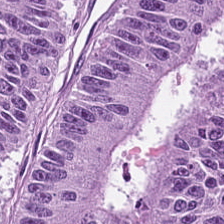H&E-stained tissue section. 224×224 px tile. 0.5 microns per pixel.
Histology — colorectal adenocarcinoma epithelium.
